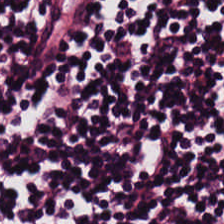H&E — {"tissue_type": "lymphocyte aggregate"}
